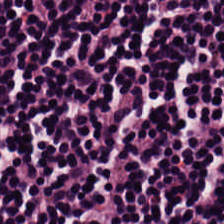Whole-slide-image patch. Hematoxylin-and-eosin stained section. FFPE tissue section.
Tissue = lymphocytes.
